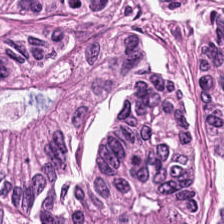Q: What is shown in this field?
A: It is malignant epithelium.
